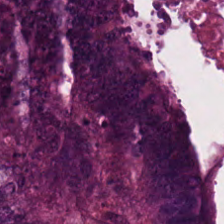The predominant tissue is colorectal adenocarcinoma.
